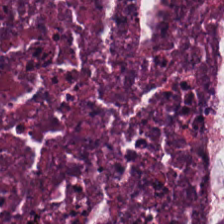H&E-stained tissue section; 0.5 µm per pixel.
This field is cellular debris.
